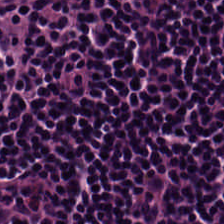FFPE; 20× equivalent magnification; H&E stain. Showing lymphocyte aggregate.
